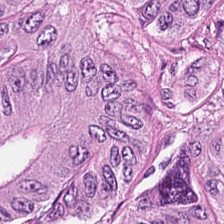H&E stain. The tissue here is adenocarcinoma.
